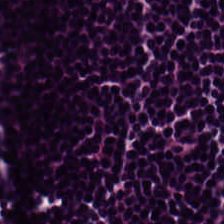Hematoxylin and eosin — This patch shows lymphocytes.
